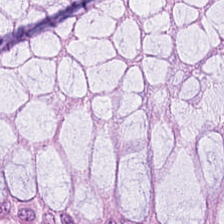H&E-stained tissue section · 20× equivalent magnification.
Tissue class: benign colonic mucosa.
